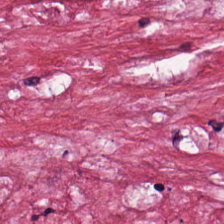H&E-stained tissue section — Tissue type = desmoplastic stroma.
